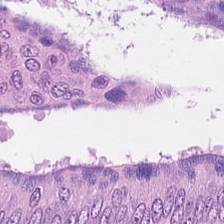Q: What is shown in this field?
A: Adenocarcinoma.
